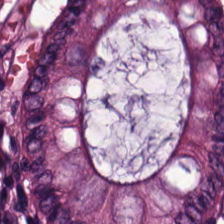Stain: H&E-stained tissue section.
Classification: benign colonic mucosa.
